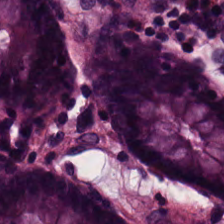Hematoxylin-and-eosin stained section; 0.5 microns per pixel. Tissue — normal colon mucosa.
